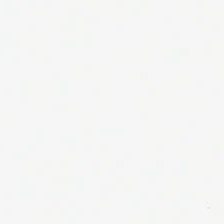Formalin-fixed paraffin-embedded section · H&E — This field is background (no tissue).
